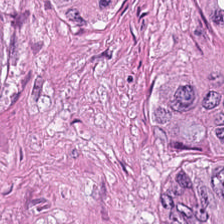Hematoxylin-and-eosin stained section.
Tissue type: colorectal adenocarcinoma.
